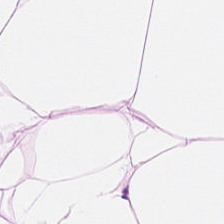H&E stain — Classification = adipose.
